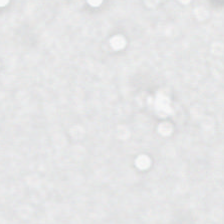224×224 pixel tile. H&E-stained tissue section — Empty field — no tissue.
